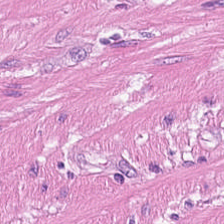This patch shows smooth-muscle tissue.
